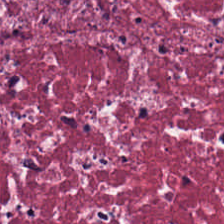FFPE tissue section; hematoxylin-and-eosin stained section.
Showing tumor stroma.
